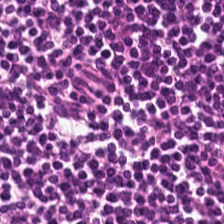FFPE. 0.5 microns per pixel. Hematoxylin and eosin. The tissue here is lymphocyte aggregate.
